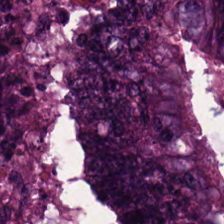224×224 px patch. Hematoxylin-and-eosin stained section — Predominantly colorectal adenocarcinoma.
